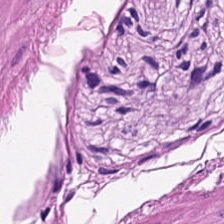Stain: H&E.
Tile size: 224×224 pixel tile.
Acquisition: WSI patch.
Tissue class: smooth-muscle tissue.
